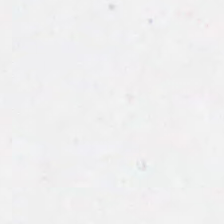H&E. Brightfield microscopy — Background (no tissue).
